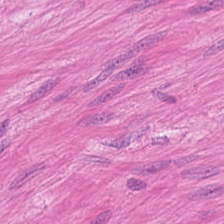0.5 µm/px · hematoxylin and eosin. Tissue type = smooth-muscle tissue.
